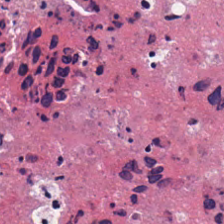224×224 px patch; hematoxylin-and-eosin stained section; formalin-fixed paraffin-embedded section — Tissue class = necrotic debris.
